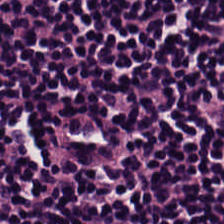H&E-stained tissue section. Classification — lymphocyte aggregate.
